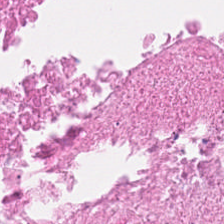Hematoxylin and eosin; 0.5 microns per pixel.
Q: Identify the tissue.
A: It is debris.
